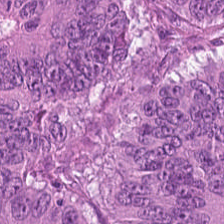Stain: H&E stain.
Tissue: tumor epithelium.
